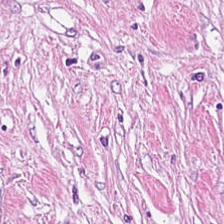Stain: H&E stain.
Predominant tissue: desmoplastic stroma.
